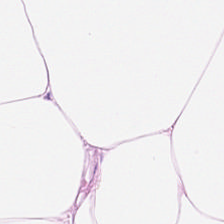H&E · 0.5 microns per pixel — Showing adipocytes.
